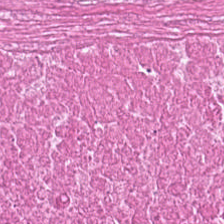H&E — This field is cellular debris.
